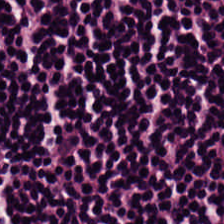Hematoxylin and eosin — Predominant tissue — lymphocytic infiltrate.
